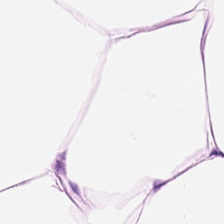Hematoxylin-and-eosin stained section · FFPE.
Tissue = adipose.
